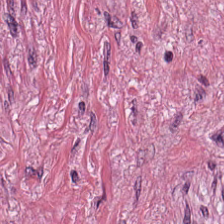Hematoxylin and eosin. Whole-slide-image patch.
Tumor-associated stroma.
